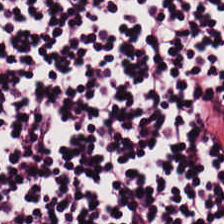H&E stain. WSI patch. 0.5 microns per pixel. Finding → lymphoid infiltrate.
